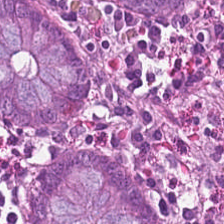Hematoxylin-and-eosin section: benign colonic mucosa.
